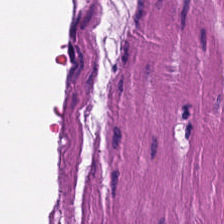H&E-stained tissue section · formalin-fixed paraffin-embedded section — Tissue class — muscularis.
